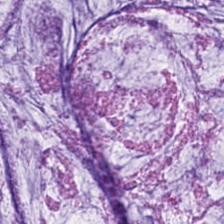Hematoxylin and eosin. Tissue type = mucus.
